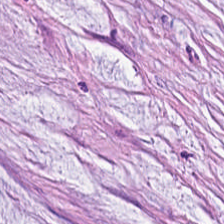H&E stain · formalin-fixed paraffin-embedded section · 0.5 µm per pixel. This patch shows mucin.
